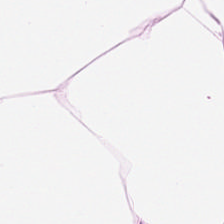224×224 px tile; hematoxylin-and-eosin stained section — Predominantly adipose.
